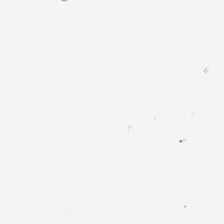Content — empty background.
